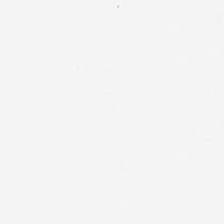Brightfield; 224×224 px tile; H&E-stained tissue section — {"content": "background (no tissue)"}
